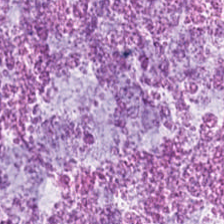H&E — The tissue here is mucin.
